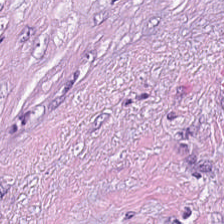H&E-stained tissue section; brightfield microscopy. Tissue = tumor-associated stroma.
